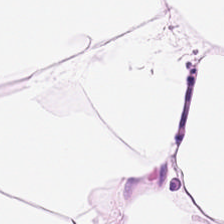Stain: hematoxylin and eosin.
Acquisition: whole-slide-image patch.
Preparation: FFPE.
Classification: adipose tissue.
